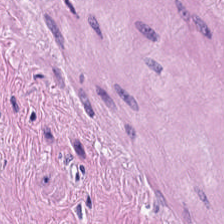Stain: hematoxylin and eosin.
Predominant tissue: muscularis.
